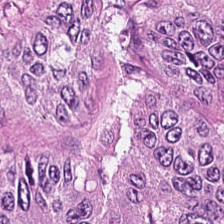FFPE; 20× equivalent magnification; H&E-stained tissue section. Q: What tissue type is shown here?
A: This is colorectal adenocarcinoma.
